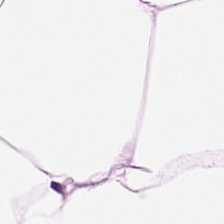0.5 µm per pixel · H&E-stained tissue section — Predominantly adipose tissue.
